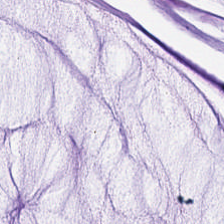H&E-stained tissue section. Impression → extracellular mucin.
